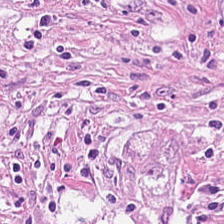224×224 pixel tile; WSI patch; H&E stain. Histology → desmoplastic stroma.
